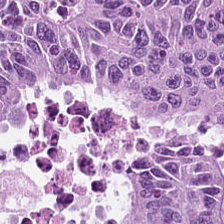Hematoxylin and eosin; FFPE tissue section. Tissue type — malignant epithelium.
